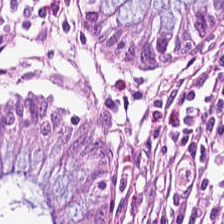20× equivalent magnification. H&E-stained tissue section.
The classification is normal colon mucosa.
